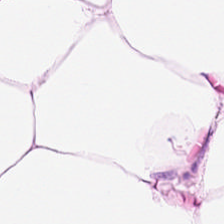Hematoxylin-and-eosin stained section.
Fat tissue.
